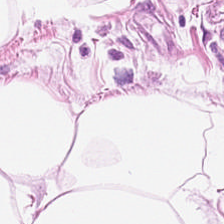The tissue type is adipose tissue.
